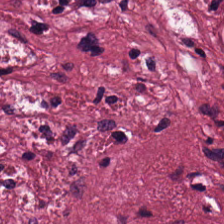Hematoxylin-and-eosin stained section. FFPE tissue section. Brightfield. Predominantly cancer-associated stroma.
